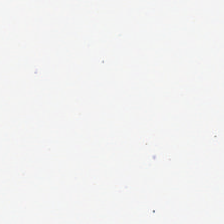H&E stain.
Histology — background (no tissue).
